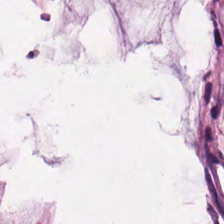H&E stain. Mucin.
